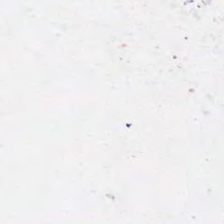20× equivalent magnification; H&E — Classification: background (no tissue).
